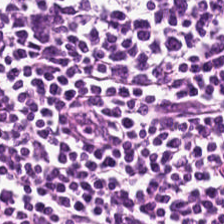H&E. This patch shows lymphocytic infiltrate.
